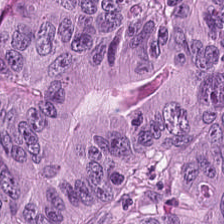Hematoxylin-and-eosin stained section; 20× equivalent magnification.
Q: What tissue type is shown here?
A: Tumor epithelium.
